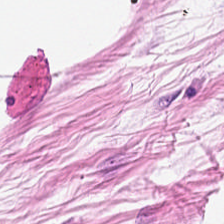Stain: H&E-stained tissue section.
Predominant tissue: adipose.
